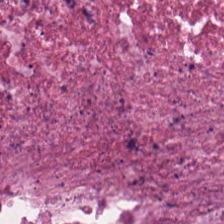H&E. This patch shows cellular debris.
